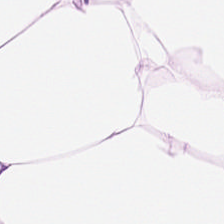Hematoxylin-and-eosin stained section. 224×224 px tile — Predominantly adipocytes.
